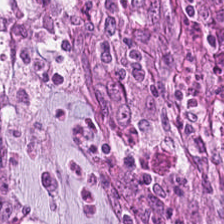224×224 px tile · hematoxylin and eosin — Tissue type = adenocarcinoma.
